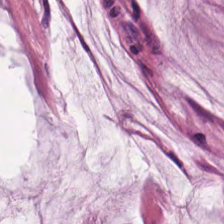H&E-stained tissue section — Tissue: extracellular mucin.
